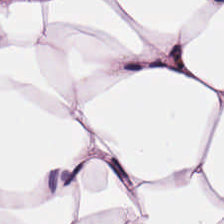Hematoxylin and eosin · brightfield microscopy. This patch shows adipose.
